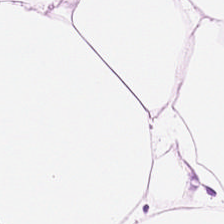H&E. Formalin-fixed paraffin-embedded section. 224×224 px tile — This field is adipose.
